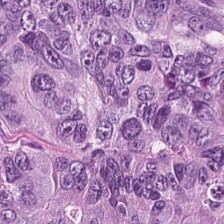H&E stain · 224×224 pixel tile · brightfield microscopy — Q: What is shown in this field?
A: This is adenocarcinoma.
